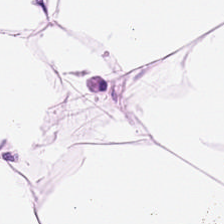224×224 pixel tile. FFPE. Hematoxylin-and-eosin stained section. {"tissue_type": "fat tissue"}
